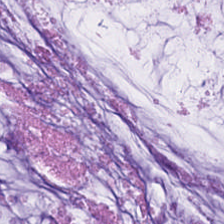Classification — mucus.
